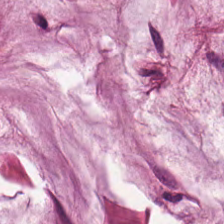WSI patch; H&E stain.
Q: What does this patch show?
A: The field shows mucus.
